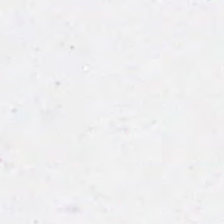The field content is no tissue.
